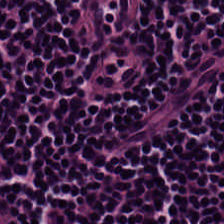Hematoxylin and eosin.
This patch shows lymphocytic infiltrate.
